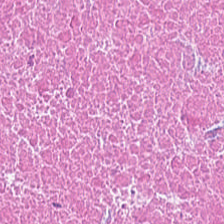H&E; whole-slide-image patch. Predominantly cellular debris.
